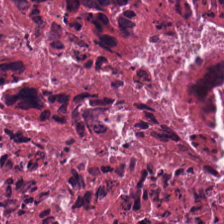Stain: hematoxylin and eosin.
Resolution: 20× equivalent magnification.
Tile size: 224×224 px patch.
Tissue: necrotic debris.
